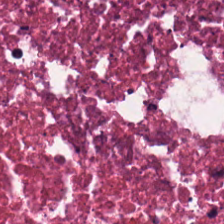H&E. 20× equivalent magnification — Q: What is the predominant tissue type?
A: The field shows cellular debris.
